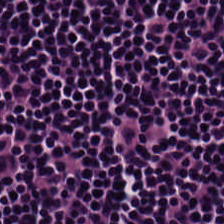224×224 px patch; H&E — Q: What is shown in this field?
A: The field shows lymphoid infiltrate.
